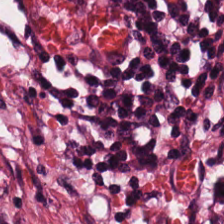H&E — Q: Identify the tissue.
A: This is tumor stroma.
